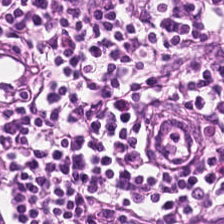Hematoxylin-and-eosin stained section — Q: What tissue type is shown here?
A: The field shows lymphoid infiltrate.
